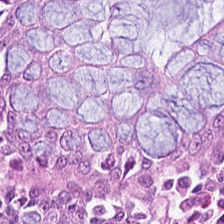Hematoxylin and eosin. Q: What does this patch show?
A: This is normal colon mucosa.
